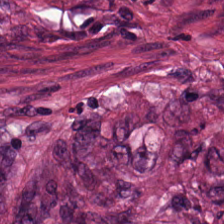Tissue type: tumor stroma.
